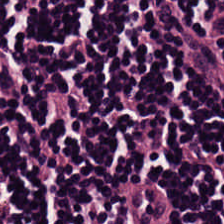Hematoxylin and eosin. This patch shows lymphoid infiltrate.
